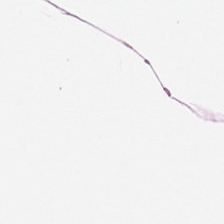H&E · formalin-fixed paraffin-embedded section.
Fat tissue.
